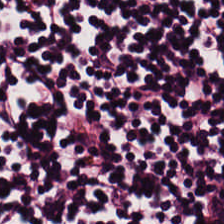H&E — The tissue here is lymphocyte aggregate.
